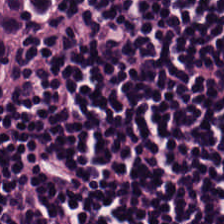Stain: hematoxylin-and-eosin stained section.
Resolution: 0.5 µm per pixel.
Acquisition: whole-slide-image patch.
Classification: lymphocyte aggregate.
